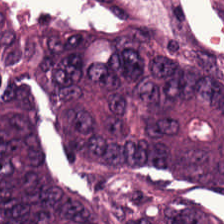Classification: colorectal adenocarcinoma.
